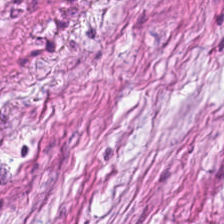Hematoxylin and eosin. Whole-slide-image patch.
Impression → desmoplastic stroma.
